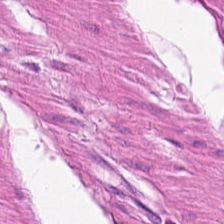H&E-stained section; the field shows smooth muscle.
